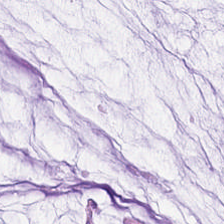H&E — Q: What is the predominant tissue type?
A: The field shows mucin.
